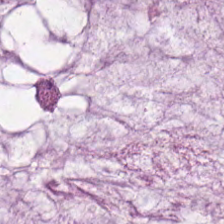Hematoxylin and eosin.
Q: What does this patch show?
A: Extracellular mucin.
